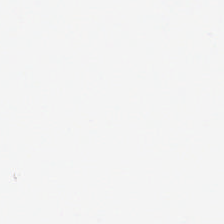224×224 px tile; brightfield; hematoxylin and eosin. This field is background (no tissue).
